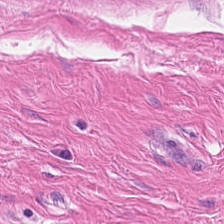Tissue: muscularis.
